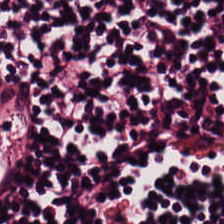224×224 pixel tile; hematoxylin-and-eosin stained section.
Q: What is shown in this field?
A: This is lymphocytes.
